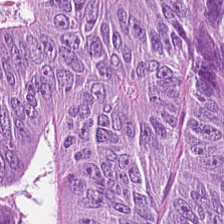H&E stain. The predominant tissue is malignant epithelium.
